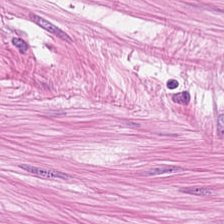0.5 µm per pixel; H&E stain. Q: What is the predominant tissue type?
A: Smooth-muscle tissue.
